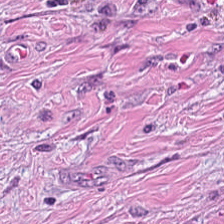H&E · 224×224 px patch.
This field is tumor stroma.
